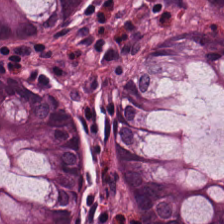Hematoxylin-and-eosin stained section. 20× equivalent magnification — This field is non-neoplastic colon mucosa.
